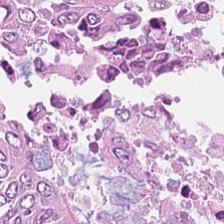H&E stain — Histology — adenocarcinoma.
